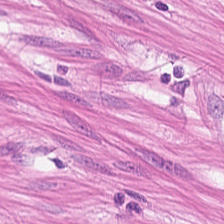Hematoxylin-and-eosin stained section.
Q: Identify the tissue.
A: This is muscularis.
